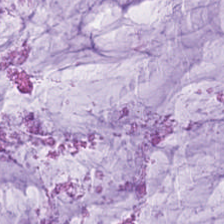FFPE. 0.5 microns per pixel. Hematoxylin-and-eosin stained section — This patch shows mucin.
